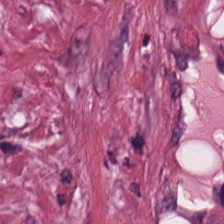Hematoxylin and eosin. Q: What is the predominant tissue type?
A: This is desmoplastic stroma.
